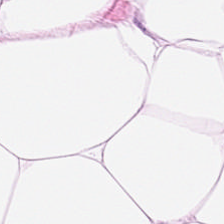Fat tissue.
